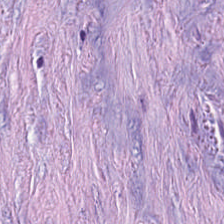Hematoxylin and eosin.
Tissue class: tumor-associated stroma.
